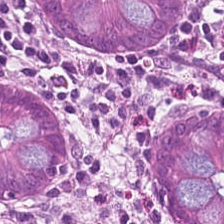224×224 pixel tile; H&E stain.
The tissue is normal colon mucosa.
